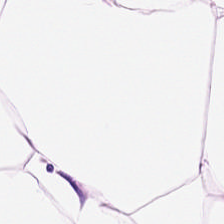Tissue class = adipose tissue.
